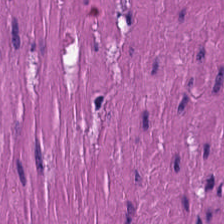The predominant tissue is smooth-muscle tissue.
